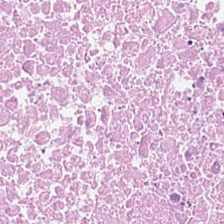H&E. {"tissue_type": "necrotic debris"}
